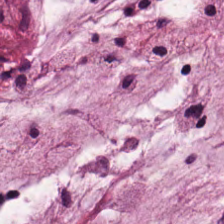FFPE tissue section. Hematoxylin-and-eosin stained section. Tissue: mucus.
